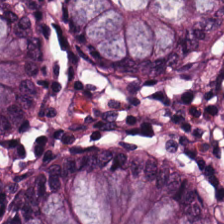224×224 px patch. Formalin-fixed paraffin-embedded section. H&E stain.
Benign colonic mucosa.
